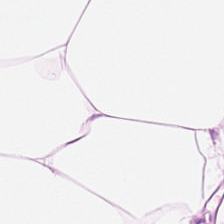Stain: H&E.
Acquisition: whole-slide-image patch.
Tissue: adipose.
